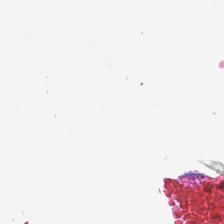Hematoxylin and eosin.
Q: What does this patch show?
A: Empty background.
